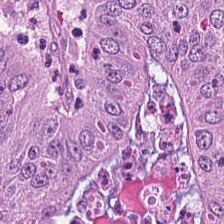{"tissue_type": "malignant epithelium"}
